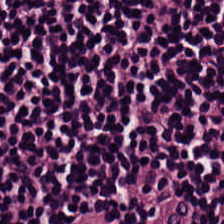FFPE · H&E. The tissue class is lymphocytes.
